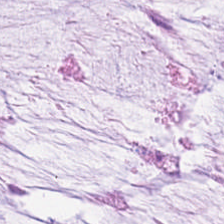Stain: H&E-stained tissue section.
Acquisition: brightfield.
Tissue class: mucus.
